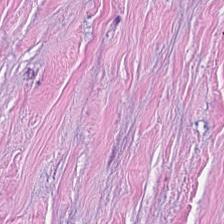Hematoxylin and eosin; 224×224 px tile.
This field is tumor-associated stroma.
